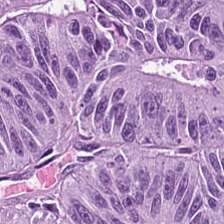Classification = colorectal adenocarcinoma.
